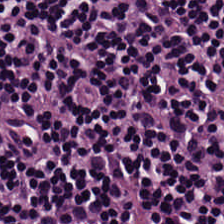Q: Classify this patch.
A: It is lymphocytes.
